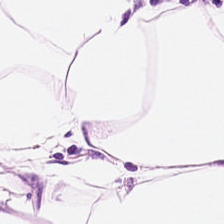Brightfield. 0.5 µm per pixel. Hematoxylin-and-eosin stained section — Predominantly adipocytes.
